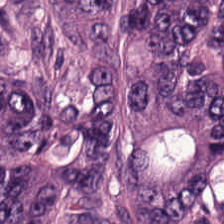Stain: H&E stain.
Classification: malignant epithelium.
